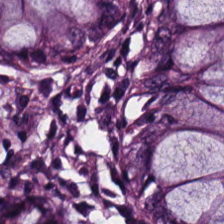Predominantly normal colonic mucosa.
